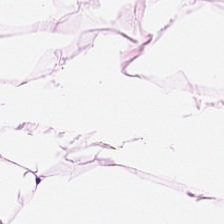Tissue: adipose tissue.
